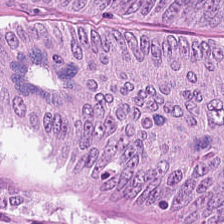0.5 µm/px · 224×224 px patch · H&E — {"tissue_type": "adenocarcinoma"}
